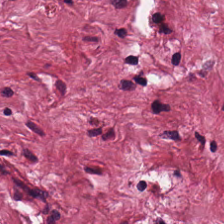H&E-stained tissue section — Classification: cancer-associated stroma.
